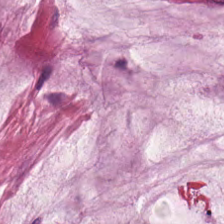Hematoxylin-and-eosin stained section; 20× equivalent magnification; FFPE tissue section. Q: What tissue type is shown here?
A: The field shows mucus.
